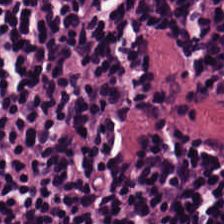Hematoxylin-and-eosin section: lymphocyte aggregate.
